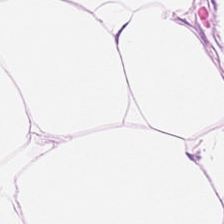224×224 px tile; H&E. Predominantly fat tissue.
